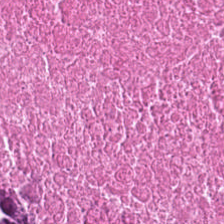Hematoxylin and eosin · 0.5 microns per pixel.
Finding — cellular debris.
